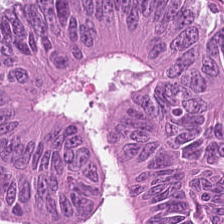Stain: H&E.
Predominant tissue: tumor epithelium.
